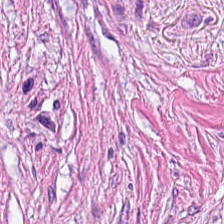Hematoxylin and eosin. Histology — cancer-associated stroma.
